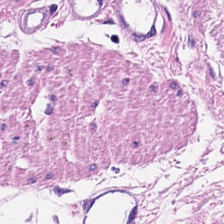Stain: H&E.
Preparation: formalin-fixed paraffin-embedded section.
Resolution: 0.5 microns per pixel.
Classification: smooth-muscle tissue.
